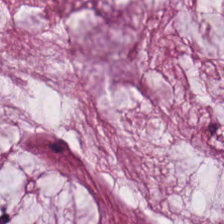WSI patch; H&E-stained tissue section; 20× equivalent magnification.
Predominantly mucus.
